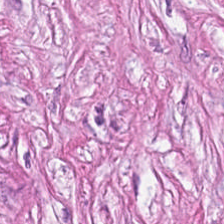Hematoxylin-and-eosin stained section.
Histology → cancer-associated stroma.
